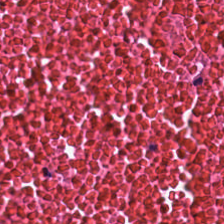Q: What is the predominant tissue type?
A: The field shows debris.
